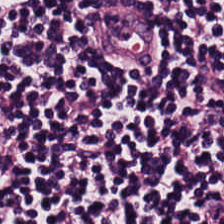Hematoxylin-and-eosin stained section.
Predominantly lymphocytes.
